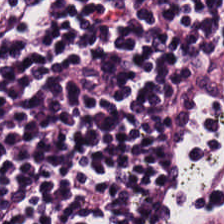Hematoxylin-and-eosin stained section.
Q: What type of tissue is this?
A: Lymphoid infiltrate.
